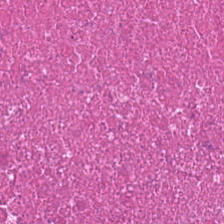H&E-stained tissue section — This patch shows cellular debris.
